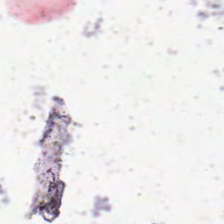H&E stain — Content — background.
